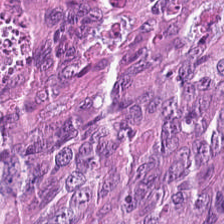H&E-stained tissue section; FFPE tissue section. Adenocarcinoma.
